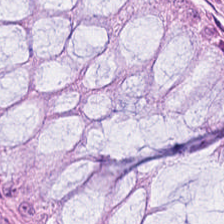224×224 pixel tile. Whole-slide-image patch. Hematoxylin and eosin — Q: Classify this patch.
A: Benign colonic mucosa.
